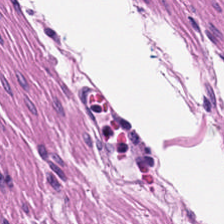Formalin-fixed paraffin-embedded section. Hematoxylin and eosin. 224×224 px tile.
Tissue: smooth muscle.
